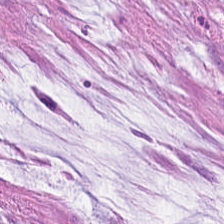Whole-slide-image patch · H&E stain. The predominant tissue is mucin.
